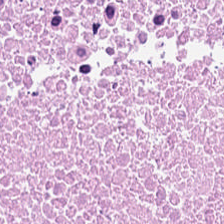Hematoxylin and eosin. The tissue here is debris.
